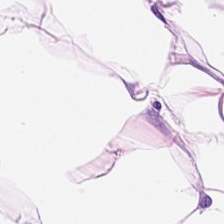Hematoxylin-and-eosin stained section — Finding — fat tissue.
